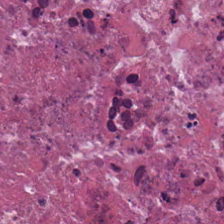H&E — This patch shows cellular debris.
